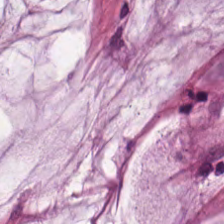The tissue type is mucus.
